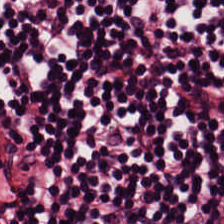Hematoxylin and eosin. 224×224 pixel tile. Brightfield microscopy. Lymphoid infiltrate.
